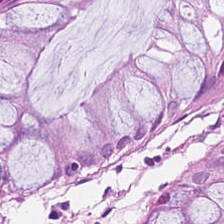Hematoxylin-and-eosin stained section; FFPE tissue section; brightfield microscopy. Q: What is the predominant tissue type?
A: The field shows benign colonic mucosa.
